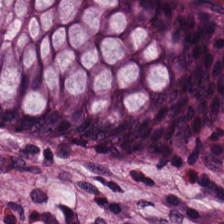H&E — Non-neoplastic colon mucosa.
